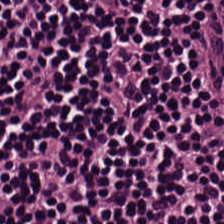224×224 px tile; H&E; WSI patch — The tissue is lymphoid infiltrate.
